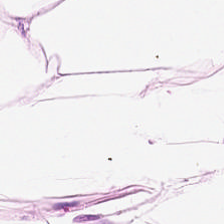Tissue type — fat tissue.
